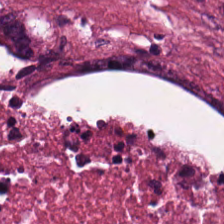H&E-stained tissue section. Predominant tissue = necrotic debris.
